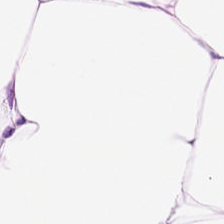Hematoxylin-and-eosin stained section · brightfield microscopy. Tissue class: adipose.
